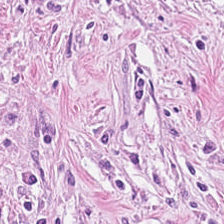WSI patch. Hematoxylin and eosin — Predominant tissue — tumor-associated stroma.
